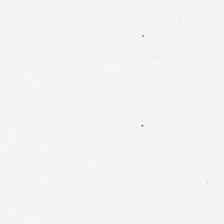Empty field — no tissue.
